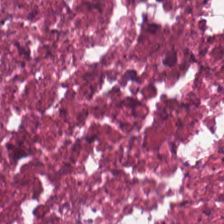0.5 µm/px. H&E-stained tissue section. Finding — necrotic debris.
